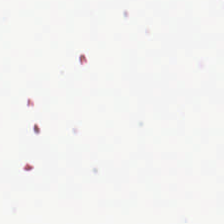H&E-stained tissue section. {"content": "empty background"}
